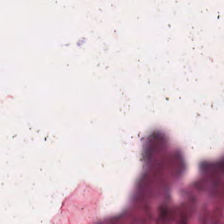Stain: hematoxylin and eosin.
Resolution: 0.5 µm/px.
Tissue class: cellular debris.
